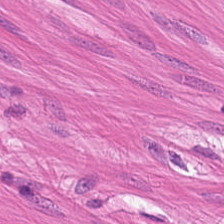H&E — Tissue class = smooth-muscle tissue.
